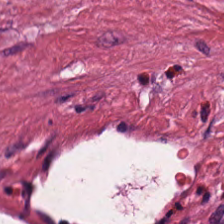0.5 µm/px; H&E stain.
Showing tumor stroma.
